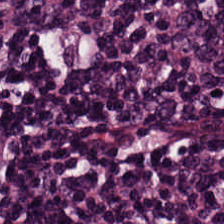Stain: H&E.
Tissue: lymphocytic infiltrate.
